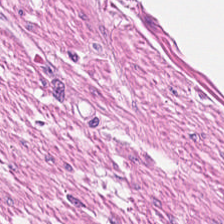FFPE tissue section · WSI patch · hematoxylin and eosin — The predominant tissue is muscularis.
